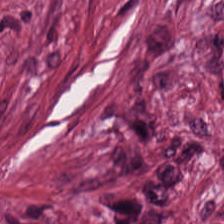0.5 µm/px · H&E-stained tissue section · formalin-fixed paraffin-embedded section. Cancer-associated stroma.
